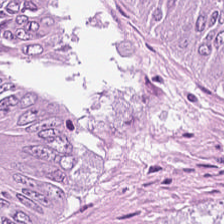H&E-stained tissue section. Brightfield microscopy. 224×224 px patch. The predominant tissue is colorectal adenocarcinoma epithelium.
